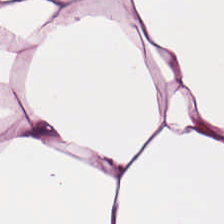H&E.
The classification is fat tissue.
